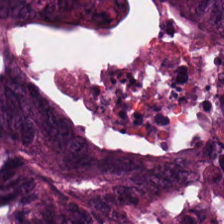20× equivalent magnification · H&E — Q: What tissue type is shown here?
A: This is tumor epithelium.
